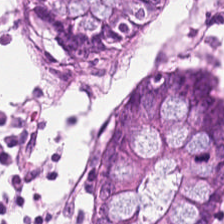Hematoxylin and eosin. FFPE — Histology — normal colonic mucosa.
